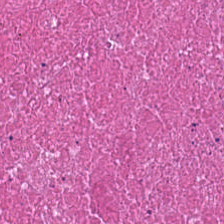The tissue is necrotic debris.
